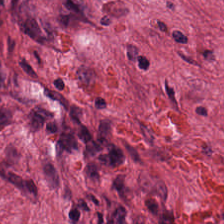Classification — tumor stroma.
